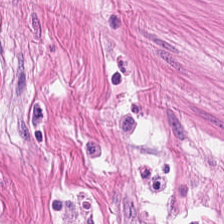224×224 px tile. Brightfield microscopy. Hematoxylin and eosin — Q: What is shown in this field?
A: The field shows smooth muscle.
